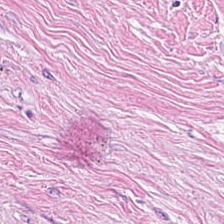Hematoxylin-and-eosin stained section · 20× equivalent magnification. This patch shows tumor stroma.
